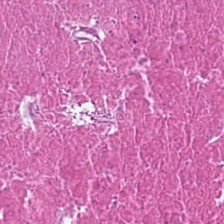FFPE · 224×224 px patch · hematoxylin-and-eosin stained section.
Q: What is the predominant tissue type?
A: The field shows necrotic debris.
